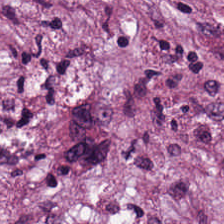Q: What tissue is shown?
A: It is cancer-associated stroma.
